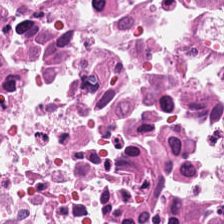Stain: H&E stain.
Acquisition: brightfield microscopy.
Classification: necrotic debris.
